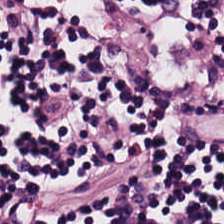H&E — lymphocytic infiltrate.
